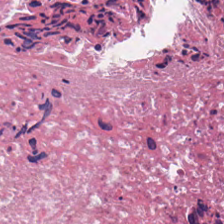FFPE · H&E-stained tissue section. Predominant tissue: cellular debris.
